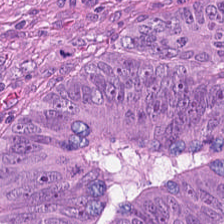Finding → colorectal adenocarcinoma epithelium.
